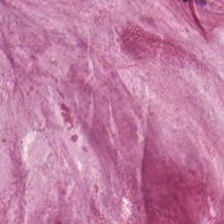FFPE tissue section; hematoxylin-and-eosin stained section — This patch shows extracellular mucin.
